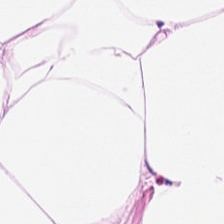Histology — adipose tissue.
